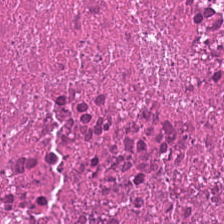H&E stain. The predominant tissue is necrotic debris.
